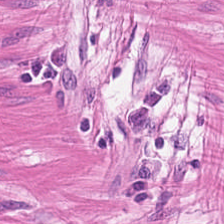H&E stain.
The classification is smooth-muscle tissue.
